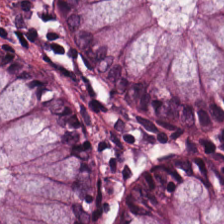H&E-stained tissue section. Benign colonic mucosa.
